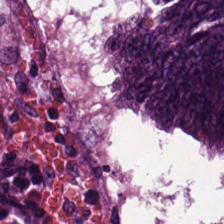H&E-stained tissue section.
Tissue = tumor epithelium.
